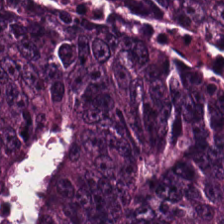Brightfield microscopy; H&E stain; 20× equivalent magnification. This patch shows malignant epithelium.
